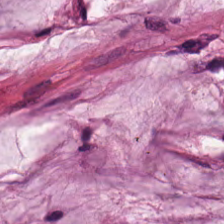Stain: H&E-stained tissue section.
Acquisition: brightfield microscopy.
Tissue class: extracellular mucin.
